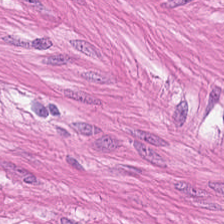This field is smooth muscle.
